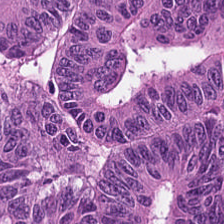Hematoxylin-and-eosin stained section — Finding → adenocarcinoma.
